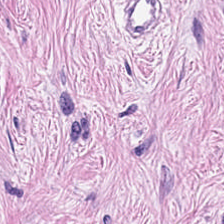H&E. Predominantly desmoplastic stroma.
